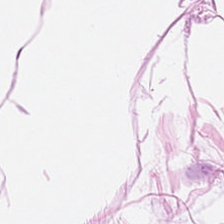{"tissue_type": "adipose"}
